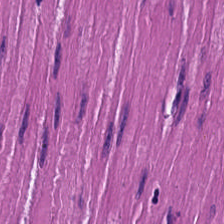{"tissue_type": "smooth-muscle tissue"}
